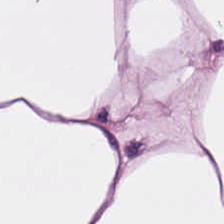H&E stain. Q: What tissue is shown?
A: This is adipose.
